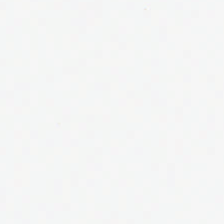This patch shows no tissue.
